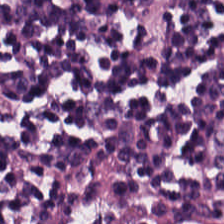Stain: H&E-stained tissue section.
Tissue class: lymphoid infiltrate.
